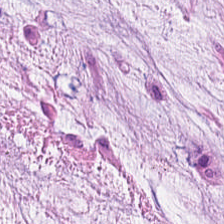H&E; 224×224 pixel tile; FFPE.
Tissue type — extracellular mucin.
